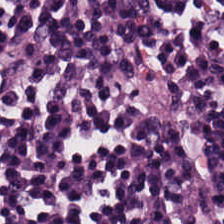H&E. 224×224 px patch. 0.5 microns per pixel. Tissue type — lymphocyte aggregate.
